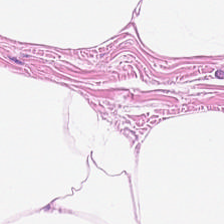H&E. Tissue = adipocytes.
